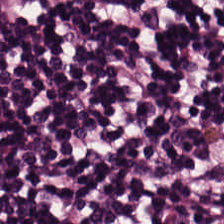Stain: H&E-stained tissue section.
Tile size: 224×224 px tile.
Classification: lymphocytes.
